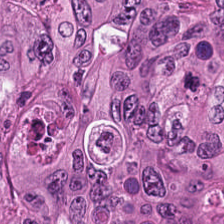Stain: hematoxylin-and-eosin stained section.
Classification: colorectal adenocarcinoma.
